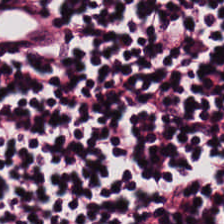Formalin-fixed paraffin-embedded section. Brightfield microscopy. H&E stain.
This patch shows lymphocytic infiltrate.
